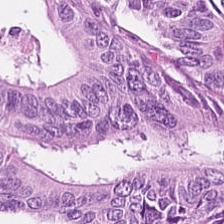FFPE; H&E; 20× equivalent magnification.
Predominantly tumor epithelium.
